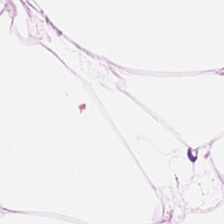H&E. The tissue here is adipose.
